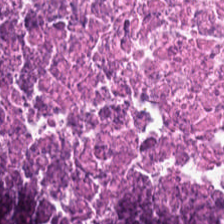Stain: H&E.
Acquisition: whole-slide-image patch.
Tissue class: debris.
